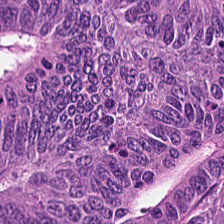Stain: H&E.
Predominant tissue: adenocarcinoma.
